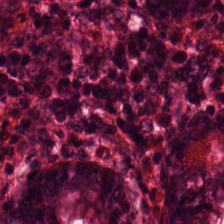Stain: hematoxylin and eosin.
Resolution: 0.5 microns per pixel.
Classification: normal colonic mucosa.
